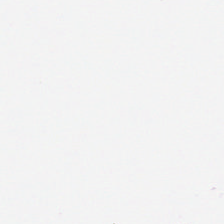Hematoxylin-and-eosin stained section.
Empty field — background.
